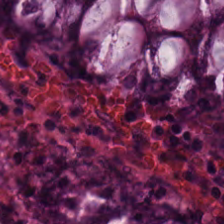0.5 microns per pixel. Formalin-fixed paraffin-embedded section. H&E-stained tissue section.
Tissue class — benign colonic mucosa.
